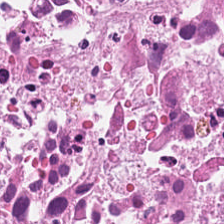224×224 px tile · H&E. {"tissue_type": "necrotic debris"}
